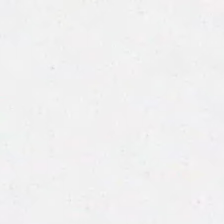224×224 pixel tile; H&E-stained tissue section.
Field content: no tissue.
